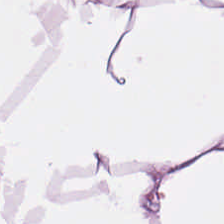Hematoxylin and eosin · FFPE — The tissue here is adipocytes.
